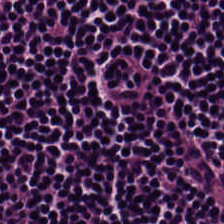20× equivalent magnification · 224×224 px patch · hematoxylin and eosin.
Tissue: lymphocytic infiltrate.
